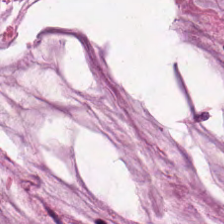Brightfield microscopy; H&E stain; formalin-fixed paraffin-embedded section.
Tissue class = mucin.
